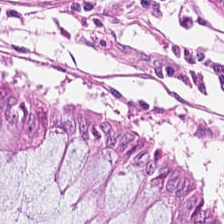H&E stain · FFPE tissue section.
Tissue type — normal colonic mucosa.
